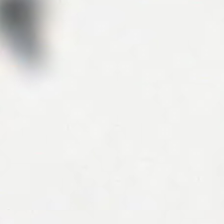0.5 µm per pixel. Hematoxylin-and-eosin stained section. 224×224 pixel tile. Finding → background.
